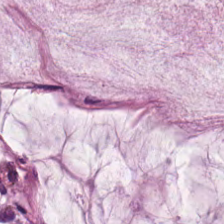224×224 px tile. H&E — Tissue type = mucin.
